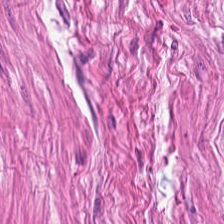Smooth-muscle tissue.
